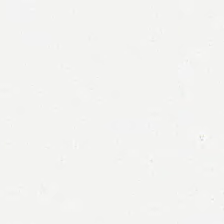H&E. The classification is background (no tissue).
